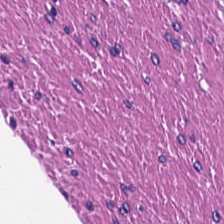Q: What tissue is shown?
A: Smooth-muscle tissue.
